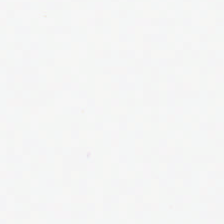Empty field — background.
